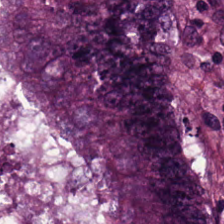Hematoxylin and eosin.
This patch shows tumor epithelium.
